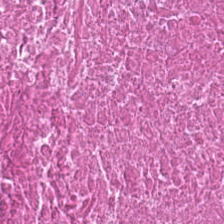H&E-stained tissue section. Finding → debris.
